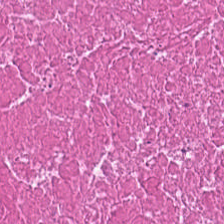Stain: H&E-stained tissue section.
Classification: necrotic debris.
